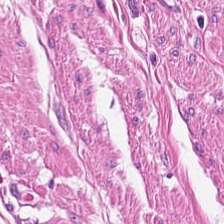Q: What tissue is shown?
A: The field shows muscularis.
